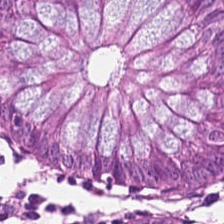This patch shows benign colonic mucosa.
